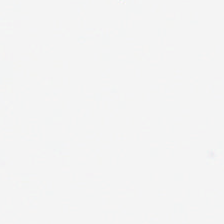WSI patch. H&E. 224×224 px patch.
Q: What is shown here?
A: It is empty background.
